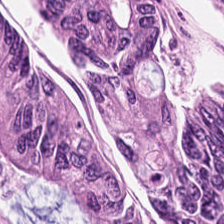Tissue class — colorectal adenocarcinoma epithelium.
